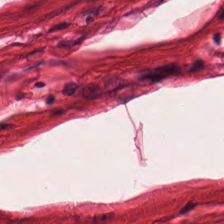0.5 µm/px. H&E. Brightfield microscopy.
Q: What is shown here?
A: The field shows smooth muscle.
